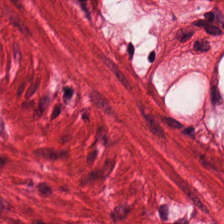H&E stain.
Classification — smooth-muscle tissue.
